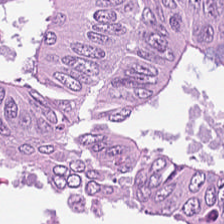Tissue class — malignant epithelium.
